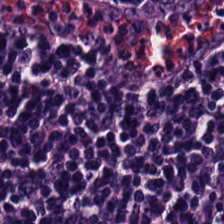H&E-stained tissue section showing lymphocytes.
